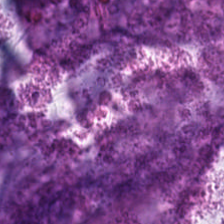H&E; FFPE tissue section. Mucin.
